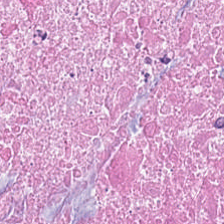H&E — Predominant tissue = debris.
